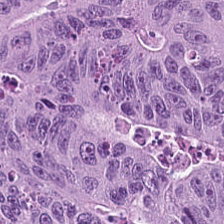Histology → adenocarcinoma.
